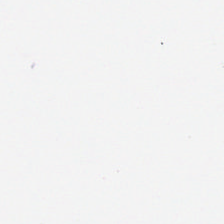Hematoxylin-and-eosin stained section.
Q: What is shown here?
A: No tissue.
